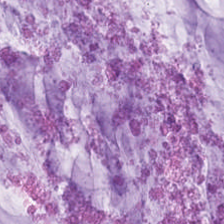H&E · 224×224 px patch.
Q: What type of tissue is this?
A: This is extracellular mucin.
